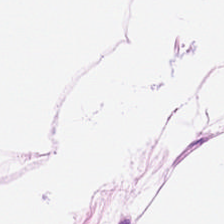H&E stain.
Classification: adipose tissue.
